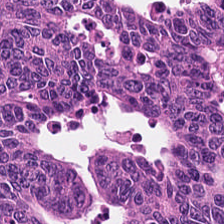H&E stain; 224×224 pixel tile. Q: Classify this patch.
A: This is colorectal adenocarcinoma.
